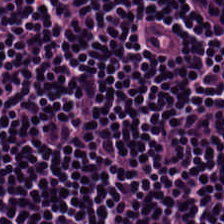Hematoxylin-and-eosin stained section. Tissue class = lymphocytic infiltrate.
